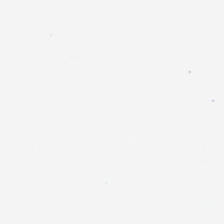Q: Classify this patch.
A: It is no tissue.
